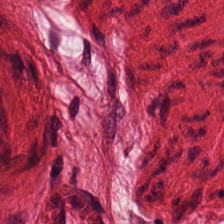Stain: H&E.
Classification: smooth muscle.
